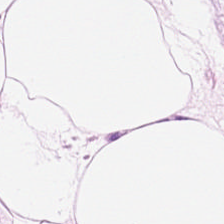H&E. Q: What tissue type is shown here?
A: This is fat tissue.
